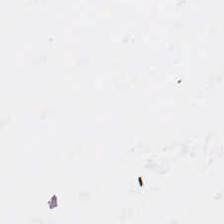No tissue present; background only.
